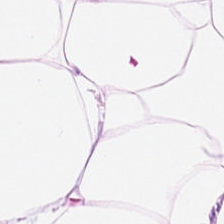224×224 pixel tile · H&E-stained tissue section. Q: Classify this patch.
A: The field shows adipocytes.
